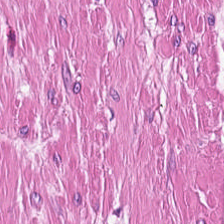H&E.
Finding → muscularis.
